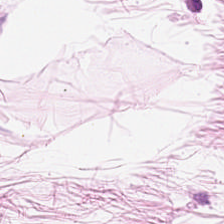Predominantly adipocytes.
